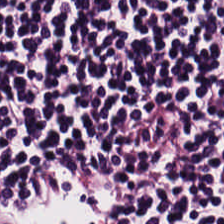H&E; 224×224 px tile. Q: What does this patch show?
A: Lymphocytic infiltrate.
